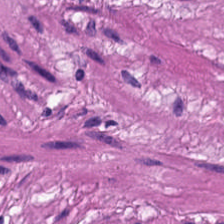Stain: hematoxylin and eosin.
Acquisition: brightfield microscopy.
Tissue type: smooth muscle.
